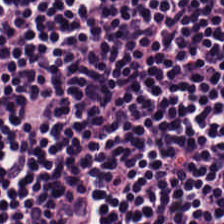Stain: H&E stain.
Tile size: 224×224 px tile.
Resolution: 0.5 µm per pixel.
Classification: lymphocytic infiltrate.
